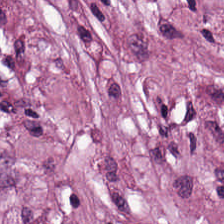Whole-slide-image patch; hematoxylin-and-eosin stained section. Predominantly tumor-associated stroma.
